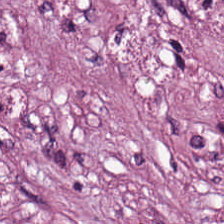H&E. FFPE tissue section. Brightfield — Histology — tumor-associated stroma.
